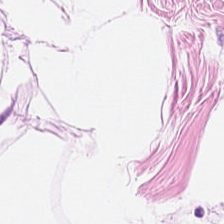Stain: H&E stain.
Tissue: fat tissue.
